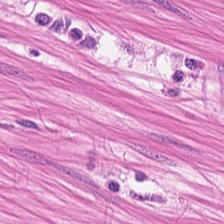Q: What is the predominant tissue type?
A: This is muscularis.
